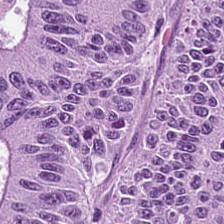Hematoxylin-and-eosin stained section. The predominant tissue is tumor epithelium.
